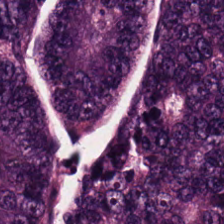Hematoxylin-and-eosin stained section. Finding → colorectal adenocarcinoma.
